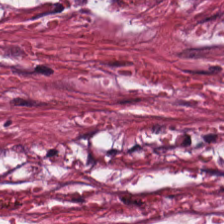H&E stain. The predominant tissue is cancer-associated stroma.
